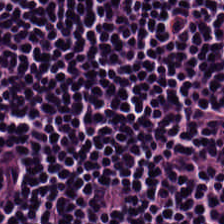Hematoxylin-and-eosin stained section.
Q: What type of tissue is this?
A: This is lymphocytes.
